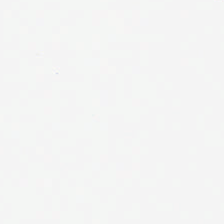Hematoxylin-and-eosin stained section.
Q: Classify this patch.
A: This is no tissue.
